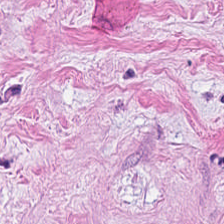0.5 µm per pixel. H&E-stained tissue section.
Classification = desmoplastic stroma.
